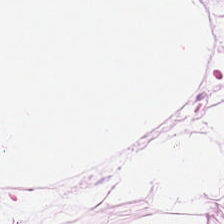Formalin-fixed paraffin-embedded section. Hematoxylin-and-eosin stained section.
Predominantly adipose tissue.
